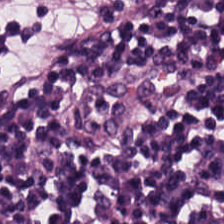Tissue = lymphoid infiltrate.
